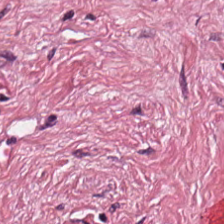Whole-slide-image patch · hematoxylin-and-eosin stained section. The tissue class is tumor stroma.
